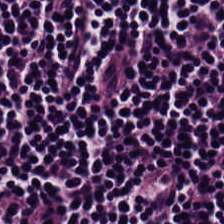Impression — lymphocyte aggregate.
